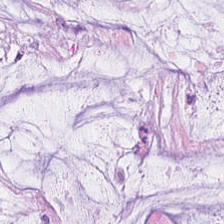Tissue class = mucin.
